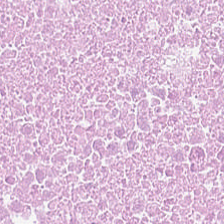Brightfield microscopy; H&E stain — This field is necrotic debris.
